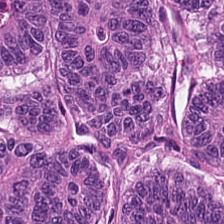Stain: H&E.
Tile size: 224×224 px patch.
Tissue class: adenocarcinoma.
